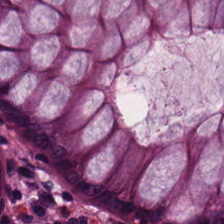Tissue = normal colonic mucosa.
